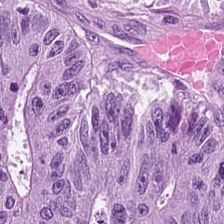224×224 px tile. WSI patch. H&E stain — The classification is tumor epithelium.
